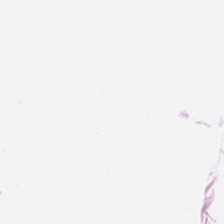Hematoxylin-and-eosin stained section. 0.5 µm/px. {"tissue_type": "fat tissue"}
